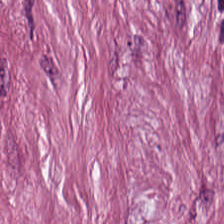WSI patch; H&E.
The predominant tissue is tumor-associated stroma.
